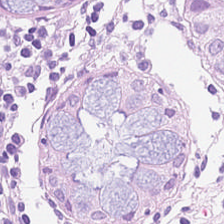H&E-stained tissue section. 224×224 pixel tile. 0.5 microns per pixel. This field is normal colonic mucosa.
